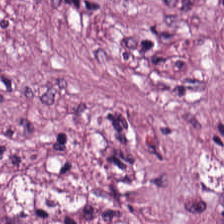Histology — cancer-associated stroma.
